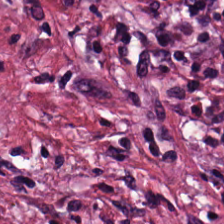Stain: H&E-stained tissue section.
Classification: desmoplastic stroma.
